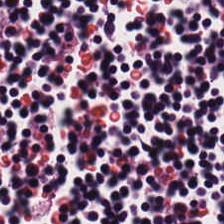Stain: hematoxylin and eosin.
Classification: lymphocyte aggregate.
